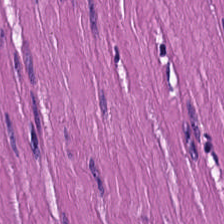Hematoxylin-and-eosin stained section.
Tissue class: smooth-muscle tissue.
